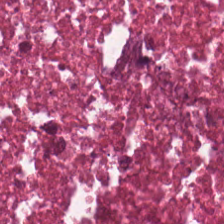Debris.
